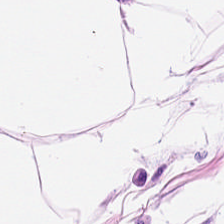Hematoxylin and eosin · brightfield microscopy.
The predominant tissue is adipose.
